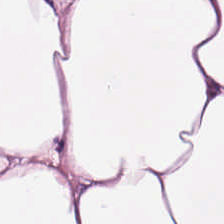H&E · 20× equivalent magnification. This field is adipocytes.
